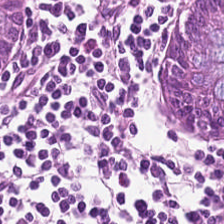{"tissue_type": "normal colon mucosa"}
